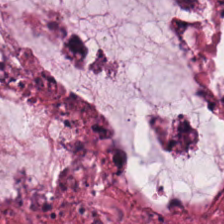H&E. FFPE.
Predominantly mucus.
